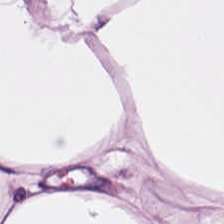Hematoxylin-and-eosin stained section.
This field is adipocytes.
